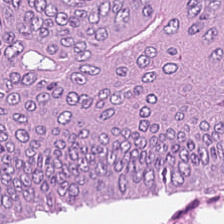H&E stain. Histology → adenocarcinoma.
